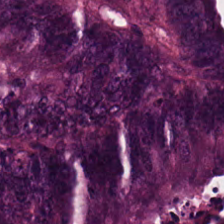This patch shows malignant epithelium.
